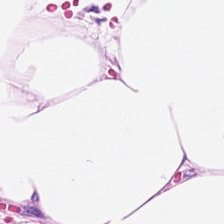224×224 px patch · hematoxylin and eosin · 0.5 µm/px — Tissue type: adipose.
